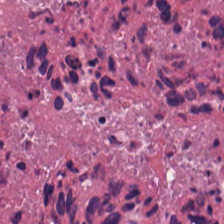H&E-stained tissue section. Q: What does this patch show?
A: The field shows debris.
